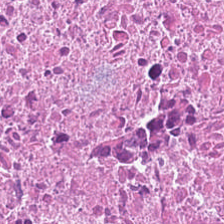The predominant tissue is cellular debris.
